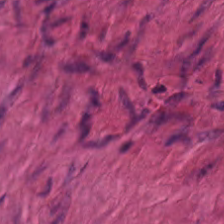Stain: H&E-stained tissue section.
Tissue: muscularis.
